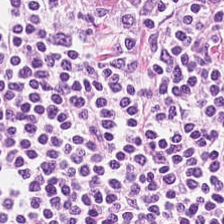Hematoxylin-and-eosin stained section.
This field is lymphocytes.
